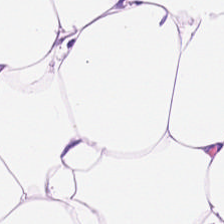Q: What is shown here?
A: This is adipose.
